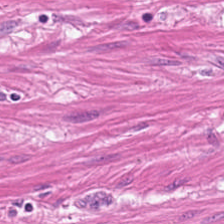Impression — smooth-muscle tissue.
